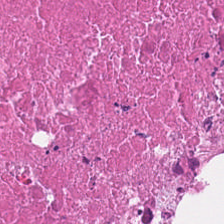H&E-stained tissue section — Tissue type = necrotic debris.
